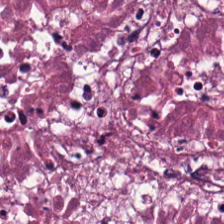The predominant tissue is cellular debris.
